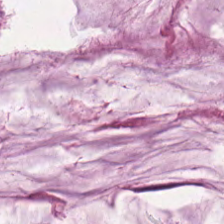Q: Identify the tissue.
A: Extracellular mucin.
